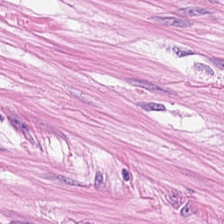Predominant tissue — muscularis.
